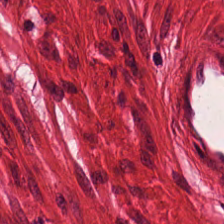Muscularis.
